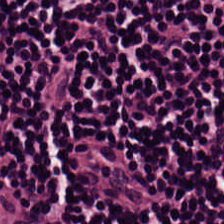H&E — Tissue type — lymphocyte aggregate.
